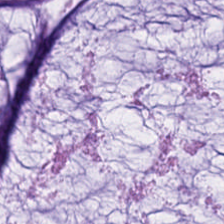H&E stain. FFPE.
{"tissue_type": "mucus"}
